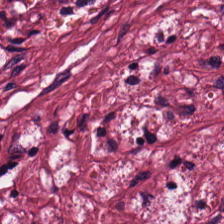H&E.
The tissue here is cancer-associated stroma.
